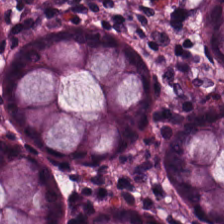224×224 pixel tile · H&E-stained tissue section — The predominant tissue is non-neoplastic colon mucosa.
